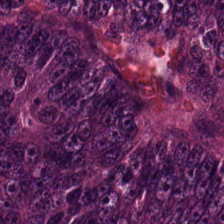Hematoxylin-and-eosin stained section. Histology → adenocarcinoma.
